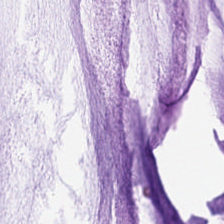H&E-stained tissue section. Q: Identify the tissue.
A: This is mucin.
